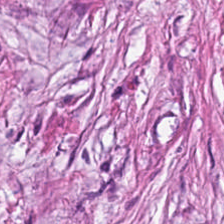Histology — tumor stroma.
